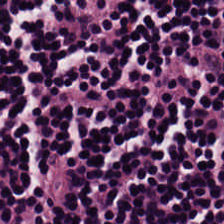Hematoxylin-and-eosin stained section — The tissue class is lymphocytes.
